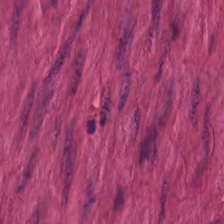Hematoxylin-and-eosin stained section. Histology → muscularis.
